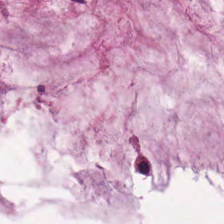0.5 µm/px. H&E stain — The predominant tissue is mucus.
